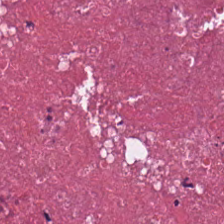H&E. Impression — necrotic debris.
